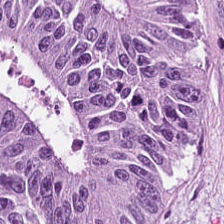FFPE tissue section · hematoxylin and eosin. The classification is tumor epithelium.
